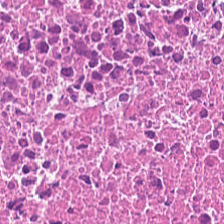H&E stain. Q: What is shown here?
A: It is necrotic debris.
